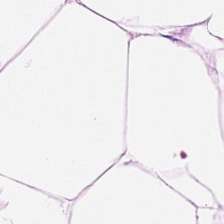Brightfield; H&E-stained tissue section — Impression → adipose.
